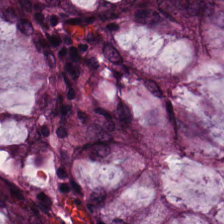Stain: hematoxylin-and-eosin stained section.
Predominant tissue: benign colonic mucosa.
